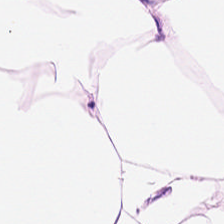H&E.
Classification — adipocytes.
